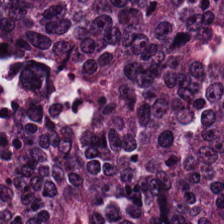224×224 px tile. H&E-stained tissue section — Tumor epithelium.
